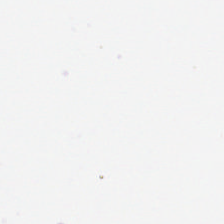Hematoxylin and eosin — The classification is empty background.
